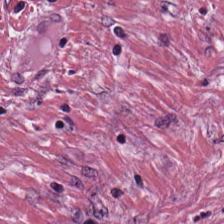H&E.
Predominant tissue: desmoplastic stroma.
